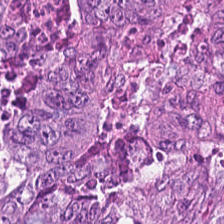Hematoxylin and eosin — Predominantly colorectal adenocarcinoma.
